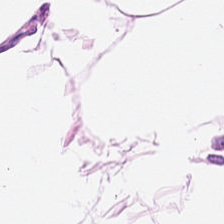0.5 µm/px; hematoxylin-and-eosin stained section. Histology → adipose.
